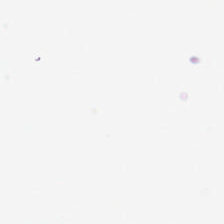This field is background (no tissue).
